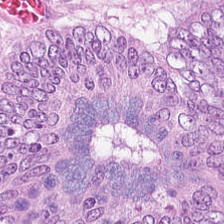Stain: H&E stain.
Predominant tissue: colorectal adenocarcinoma.
